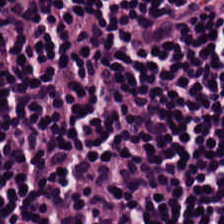Stain: hematoxylin-and-eosin stained section.
Resolution: 0.5 microns per pixel.
Predominant tissue: lymphocyte aggregate.
